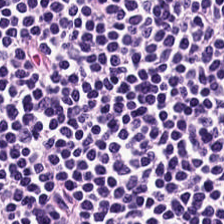H&E — Predominantly lymphocytic infiltrate.
